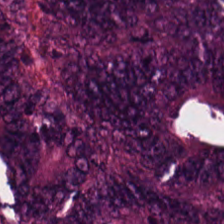H&E stain; brightfield.
The tissue here is colorectal adenocarcinoma.
